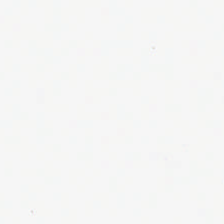Hematoxylin-and-eosin stained section.
Background — no tissue in this field.
